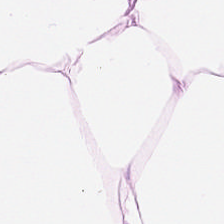H&E. Predominant tissue = adipocytes.
